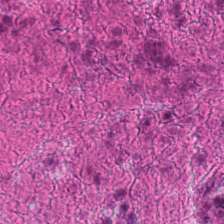Q: What is shown in this field?
A: The field shows debris.
